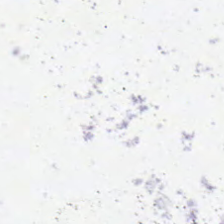H&E; 224×224 pixel tile; WSI patch. Empty field — background (no tissue).
